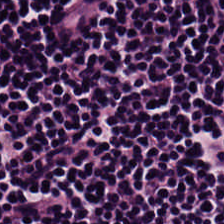FFPE · brightfield · H&E. Classification — lymphocytic infiltrate.
